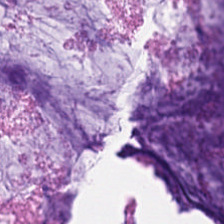H&E stain · whole-slide-image patch — Tissue = mucin.
